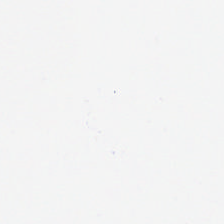Hematoxylin-and-eosin stained section; 0.5 µm per pixel; brightfield microscopy.
Impression → background (no tissue).
